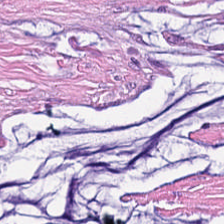0.5 microns per pixel; 224×224 px tile; H&E. Predominant tissue = tumor stroma.
